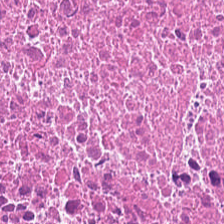Tissue type — debris.
